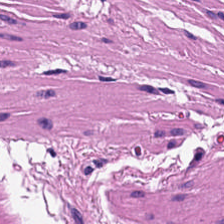Hematoxylin-and-eosin stained section. The predominant tissue is muscularis.
